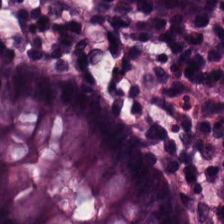H&E stain; whole-slide-image patch. The tissue is benign colonic mucosa.
